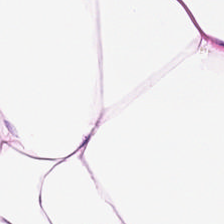H&E stain. FFPE tissue section — Q: What type of tissue is this?
A: This is adipocytes.
